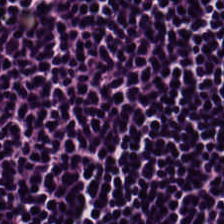H&E — The predominant tissue is lymphocyte aggregate.
